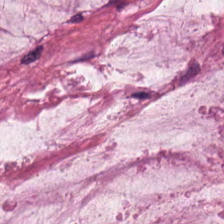Hematoxylin-and-eosin stained section · 0.5 microns per pixel. Tissue — mucin.
